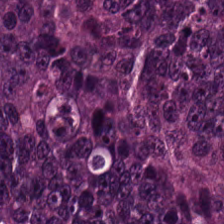224×224 px patch; 0.5 microns per pixel; H&E — The tissue class is adenocarcinoma.
